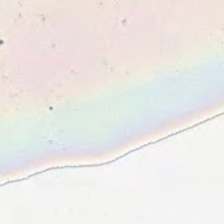224×224 px tile; H&E-stained tissue section.
Background.
